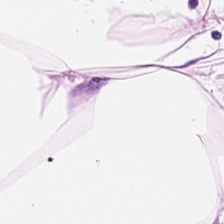Showing adipose.
